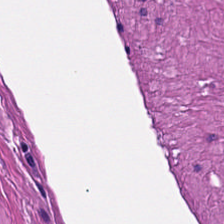H&E. Smooth muscle.
